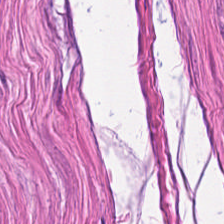H&E-stained tissue section. 224×224 px patch.
The tissue type is smooth muscle.
